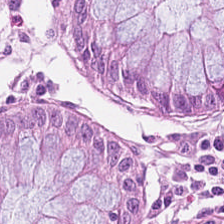Hematoxylin-and-eosin stained section.
This field is non-neoplastic colon mucosa.
